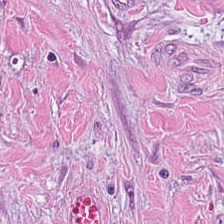Q: What does this patch show?
A: It is tumor-associated stroma.
